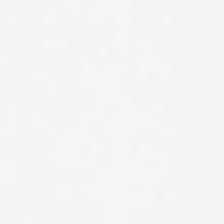Hematoxylin-and-eosin stained section — Field content — background (no tissue).
